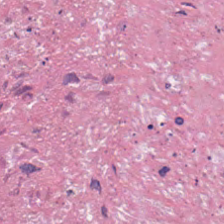Hematoxylin and eosin — The tissue class is necrotic debris.
